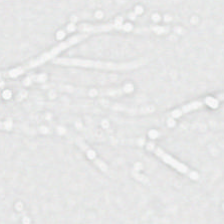H&E stain.
Q: What does this patch show?
A: It is background.
